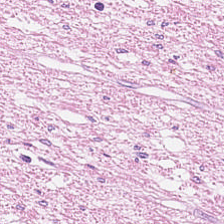Hematoxylin-and-eosin stained section. Smooth-muscle tissue.
